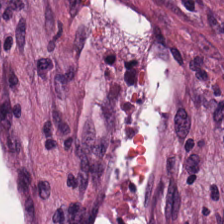FFPE tissue section; hematoxylin-and-eosin stained section — Finding → desmoplastic stroma.
